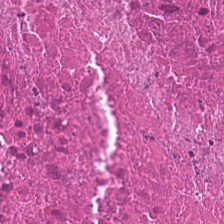H&E.
Necrotic debris.
